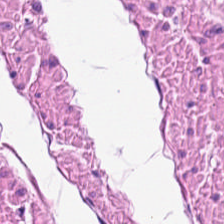Tissue type — smooth-muscle tissue.
